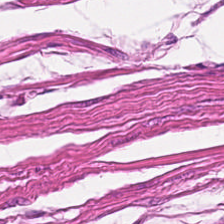Stain: hematoxylin-and-eosin stained section.
Resolution: 0.5 µm per pixel.
Acquisition: whole-slide-image patch.
Tissue type: muscularis.
